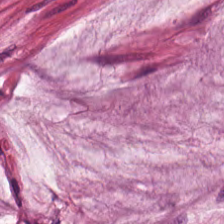H&E — Q: What tissue is shown?
A: This is mucus.
